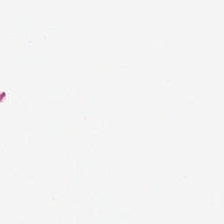Hematoxylin and eosin — Background.
